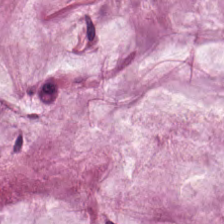Formalin-fixed paraffin-embedded section · H&E-stained tissue section. Histology → mucus.
